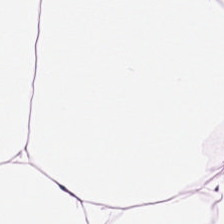Stain: hematoxylin-and-eosin stained section.
Preparation: FFPE.
Tissue class: fat tissue.
